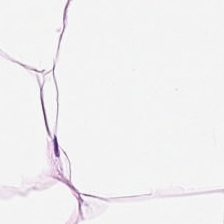Predominant tissue = adipocytes.
